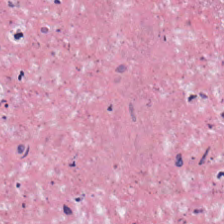Hematoxylin-and-eosin stained section. FFPE. Histology → necrotic debris.
